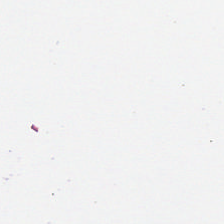Stain: H&E-stained tissue section.
Content: background (no tissue).
